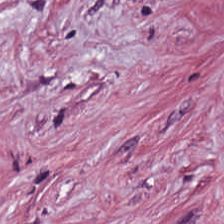Hematoxylin and eosin. Finding → tumor stroma.
